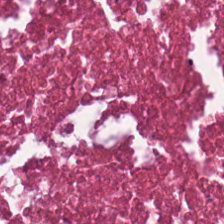H&E-stained tissue section. The tissue here is necrotic debris.
